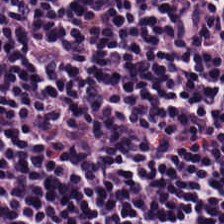Stain: H&E.
Tissue class: lymphocytic infiltrate.
